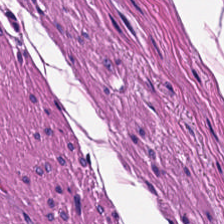224×224 px tile · H&E — Finding — smooth-muscle tissue.
